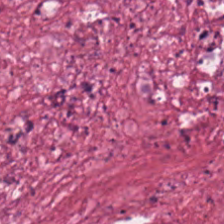Hematoxylin and eosin. 224×224 px tile — Q: What does this patch show?
A: This is cancer-associated stroma.
